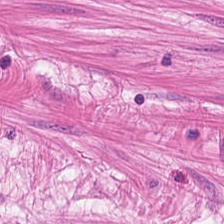0.5 µm/px. H&E-stained tissue section.
The tissue is smooth-muscle tissue.
